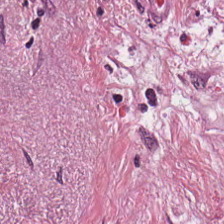Stain: H&E.
Tissue type: tumor-associated stroma.
